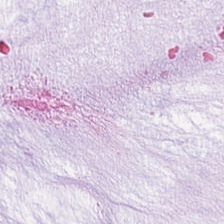H&E stain. FFPE. The tissue here is mucin.
